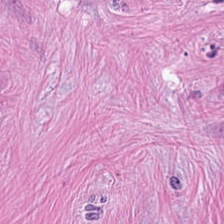H&E stain.
Tissue class — tumor stroma.
